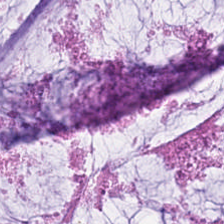Stain: H&E-stained tissue section.
Tissue: extracellular mucin.
